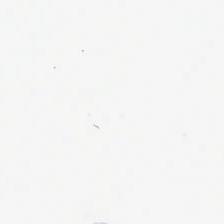Stain: H&E-stained tissue section.
Tile size: 224×224 px patch.
Resolution: 0.5 µm per pixel.
Field content: empty background.
